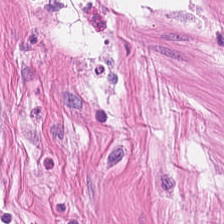WSI patch. H&E. Tissue type — muscularis.
